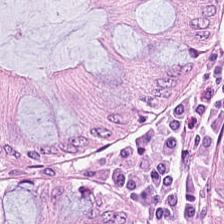Formalin-fixed paraffin-embedded section · H&E-stained tissue section. Classification — benign colonic mucosa.
